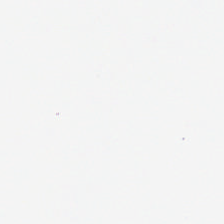H&E-stained tissue section. The classification is no tissue.
